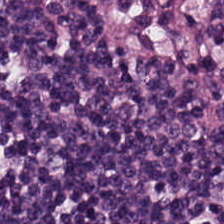H&E-stained tissue section — Q: What tissue is shown?
A: The field shows lymphocytes.
